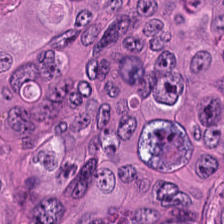This patch shows tumor epithelium.
